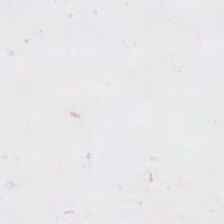FFPE tissue section · 224×224 pixel tile · H&E-stained tissue section. Finding → no tissue.
